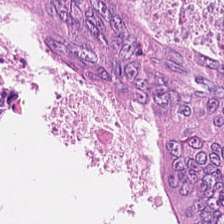Stain: H&E stain.
Resolution: 0.5 µm per pixel.
Tile size: 224×224 px patch.
Predominant tissue: colorectal adenocarcinoma epithelium.
